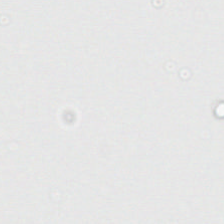Hematoxylin and eosin — This field is background (no tissue).
